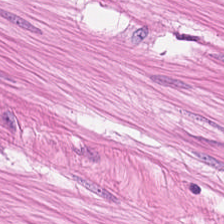H&E.
{"tissue_type": "muscularis"}
